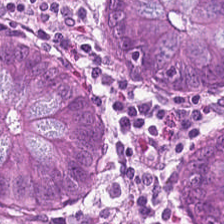{"tissue_type": "non-neoplastic colon mucosa"}
